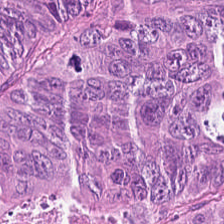Hematoxylin-and-eosin stained section — Adenocarcinoma.
